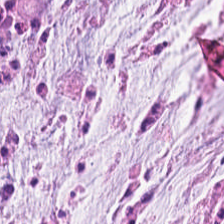H&E-stained tissue section. 20× equivalent magnification.
Tissue = mucin.
